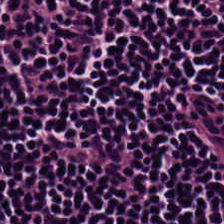Stain: hematoxylin-and-eosin stained section.
Tissue: lymphocyte aggregate.
